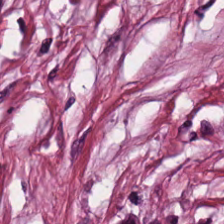The tissue is tumor-associated stroma.
